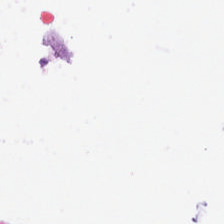Hematoxylin and eosin.
Finding → background.
